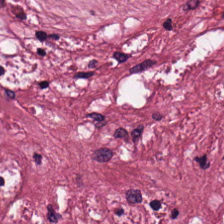H&E stain — Predominant tissue: desmoplastic stroma.
